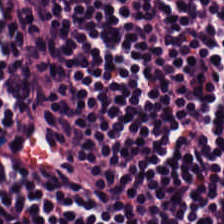Stain: H&E stain.
Resolution: 0.5 µm per pixel.
Tile size: 224×224 px patch.
Predominant tissue: lymphocytes.
